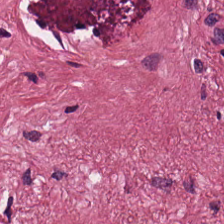Hematoxylin and eosin. 20× equivalent magnification. The tissue here is desmoplastic stroma.
